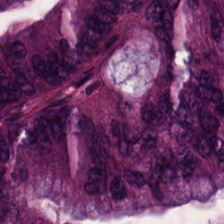Hematoxylin-and-eosin stained section — Q: What tissue type is shown here?
A: The field shows colorectal adenocarcinoma.
